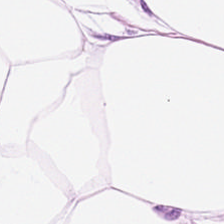Stain: H&E.
Tissue: adipose tissue.
